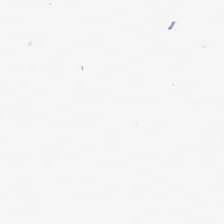H&E. Background — no tissue in this field.
